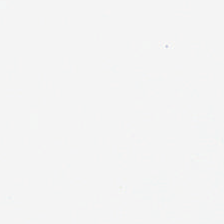H&E-stained tissue section — Empty field — background.
